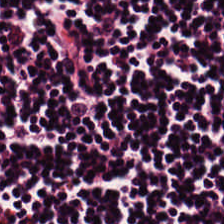0.5 µm/px; H&E — This patch shows lymphocytes.
